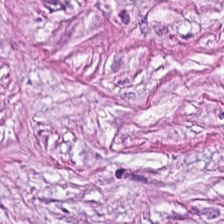Predominantly tumor stroma.
